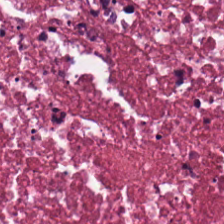FFPE. 0.5 microns per pixel. Hematoxylin-and-eosin stained section. Tissue class = necrotic debris.
